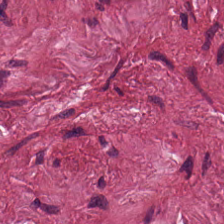Stain: hematoxylin-and-eosin stained section.
Acquisition: brightfield microscopy.
Resolution: 0.5 µm per pixel.
Tissue type: desmoplastic stroma.
